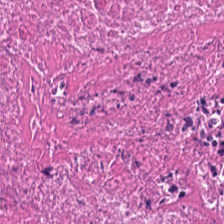Histology — debris.
